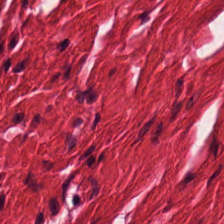FFPE tissue section; H&E; 0.5 µm/px.
Predominant tissue — muscularis.
